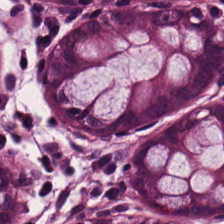H&E stain.
This field is normal colonic mucosa.
